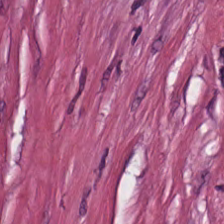Q: What does this patch show?
A: It is tumor stroma.
